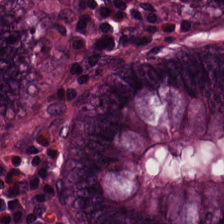Hematoxylin-and-eosin stained section · 0.5 µm per pixel.
This patch shows normal colonic mucosa.
